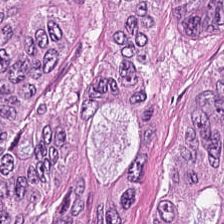H&E-stained tissue section.
Predominantly colorectal adenocarcinoma epithelium.
